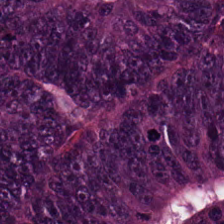Stain: hematoxylin-and-eosin stained section.
Classification: malignant epithelium.
